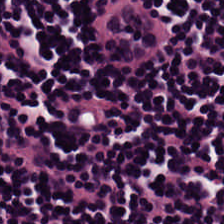Brightfield microscopy. Hematoxylin and eosin.
Finding — lymphocytic infiltrate.
